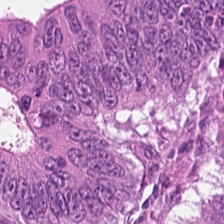This patch shows colorectal adenocarcinoma epithelium.
